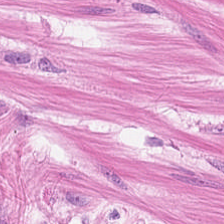Hematoxylin-and-eosin stained section — This patch shows muscularis.
